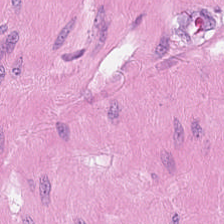H&E stain — Predominantly smooth-muscle tissue.
